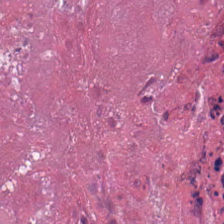WSI patch; H&E; 224×224 px patch. Predominant tissue — cellular debris.
